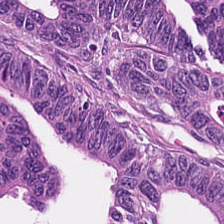Q: What is shown in this field?
A: Adenocarcinoma.
